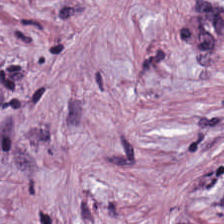H&E — This patch shows cancer-associated stroma.
